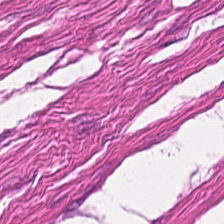Predominantly smooth-muscle tissue.
